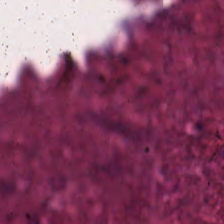Hematoxylin and eosin. Predominantly cellular debris.
